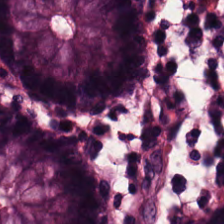224×224 pixel tile. H&E-stained tissue section. WSI patch. This field is normal colonic mucosa.
